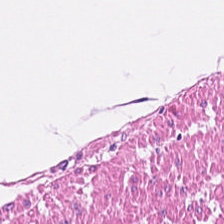Stain: H&E.
Resolution: 20× equivalent magnification.
Tissue type: smooth-muscle tissue.
